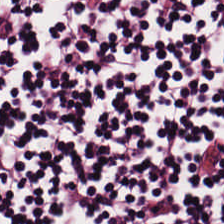H&E · brightfield microscopy.
Predominant tissue — lymphoid infiltrate.
